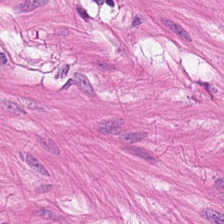0.5 µm per pixel · H&E stain — This field is muscularis.
